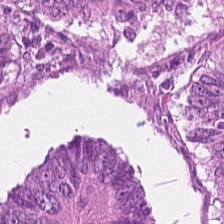Stain: H&E stain.
Preparation: formalin-fixed paraffin-embedded section.
Tissue type: colorectal adenocarcinoma.
